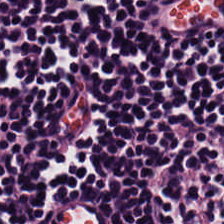H&E-stained tissue section. Q: What tissue is shown?
A: The field shows lymphoid infiltrate.
